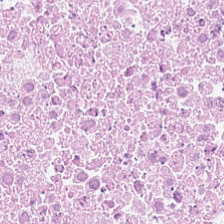H&E-stained tissue section showing necrotic debris.
